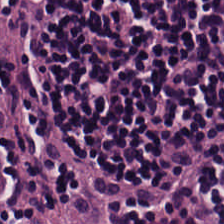H&E-stained tissue section. Q: What does this patch show?
A: It is lymphoid infiltrate.
